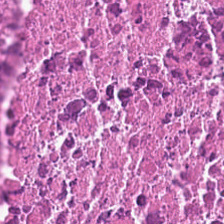H&E-stained tissue section. The tissue type is debris.
